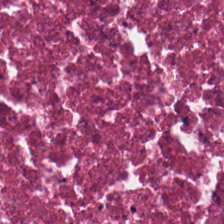Hematoxylin and eosin.
Q: What is the predominant tissue type?
A: Necrotic debris.
